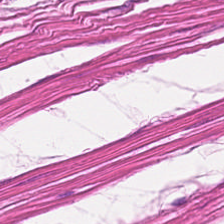224×224 px tile; brightfield; hematoxylin-and-eosin stained section — Tissue = muscularis.
